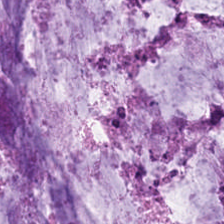FFPE. H&E-stained tissue section.
Mucin.
